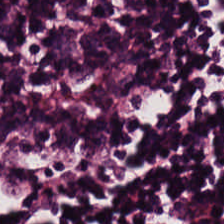Hematoxylin-and-eosin stained section. This patch shows lymphocyte aggregate.
